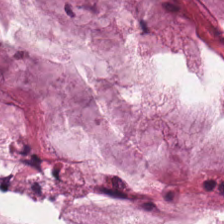Hematoxylin and eosin — Predominantly extracellular mucin.
